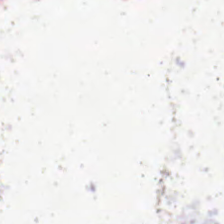Field content: background.
